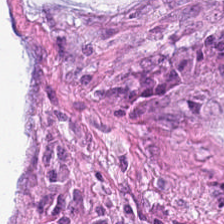Hematoxylin and eosin.
The tissue class is mucus.
